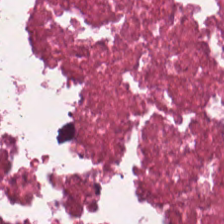Brightfield microscopy; H&E stain; FFPE tissue section. Tissue type = necrotic debris.
